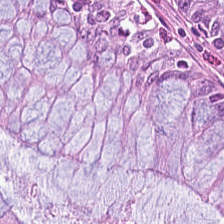H&E-stained tissue section — {"tissue_type": "non-neoplastic colon mucosa"}
